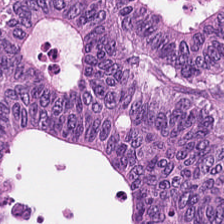H&E-stained tissue section — Tissue type: colorectal adenocarcinoma.
